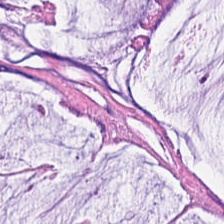Tissue class = mucus.
